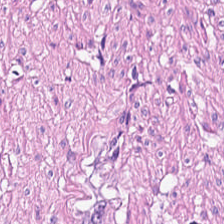H&E-stained tissue section. FFPE tissue section. Impression → smooth muscle.
